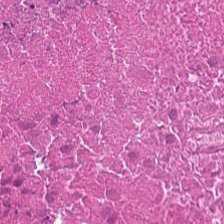H&E-stained tissue section. The classification is necrotic debris.
